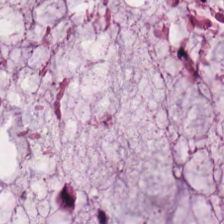H&E. Brightfield microscopy.
Finding — mucin.
